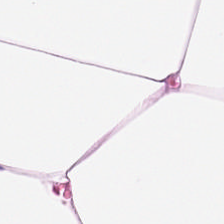H&E-stained section; the field shows fat tissue.
